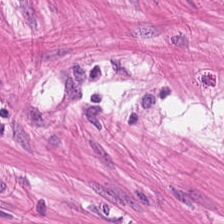Hematoxylin-and-eosin stained section.
Tissue: muscularis.
